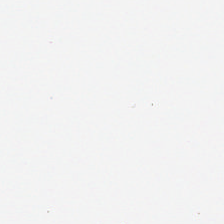H&E · 20× equivalent magnification · FFPE.
No tissue.
